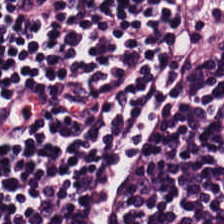H&E stain; 224×224 px patch; whole-slide-image patch — This field is lymphocytes.
